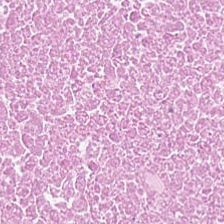Q: What tissue is shown?
A: This is debris.
